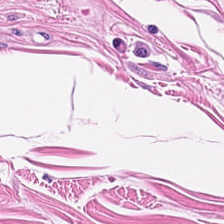Hematoxylin and eosin — {"tissue_type": "smooth muscle"}
